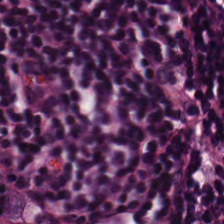Stain: hematoxylin-and-eosin stained section.
Classification: lymphocytic infiltrate.
